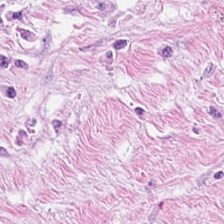Whole-slide-image patch; hematoxylin and eosin — Predominantly desmoplastic stroma.
